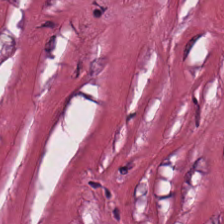Hematoxylin and eosin. The tissue class is desmoplastic stroma.
